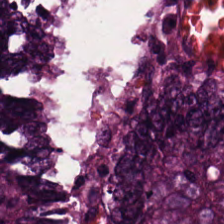Hematoxylin-and-eosin stained section — The tissue type is colorectal adenocarcinoma.
